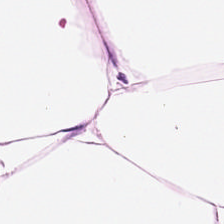Showing adipose.
